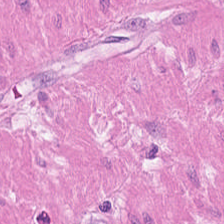Stain: H&E.
Tissue class: muscularis.
